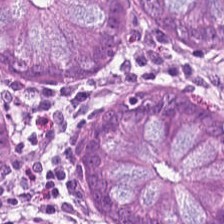The tissue here is normal colon mucosa.
